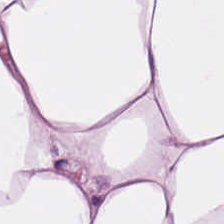H&E-stained tissue section.
Q: What does this patch show?
A: Adipocytes.
